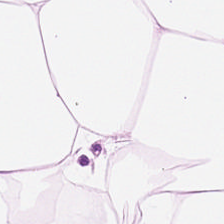Stain: H&E stain.
Resolution: 20× equivalent magnification.
Predominant tissue: adipose tissue.
